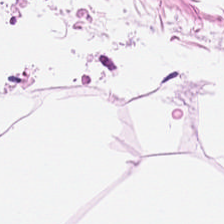Q: Classify this patch.
A: This is adipocytes.
